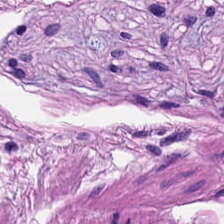H&E-stained tissue section. Tissue class — smooth-muscle tissue.
